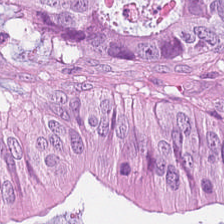This patch shows colorectal adenocarcinoma.
